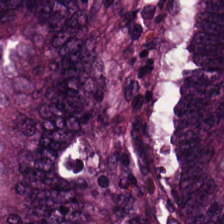Hematoxylin-and-eosin stained section · whole-slide-image patch.
Finding → colorectal adenocarcinoma.
